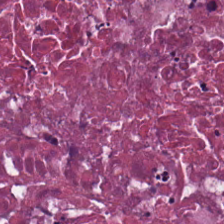WSI patch. H&E. FFPE tissue section — Tissue: cellular debris.
